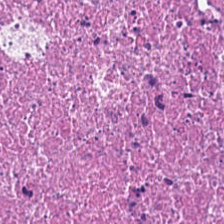Stain: H&E-stained tissue section.
Tissue: cellular debris.
